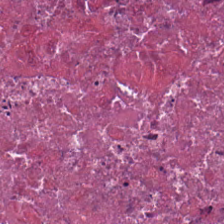Brightfield microscopy. Hematoxylin and eosin. 224×224 px tile — {"tissue_type": "cellular debris"}
